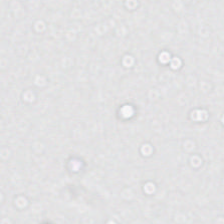H&E-stained tissue section — {"content": "no tissue"}
